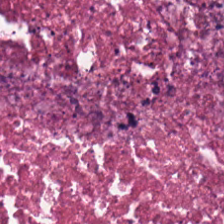Stain: H&E-stained tissue section.
Tissue class: cellular debris.
